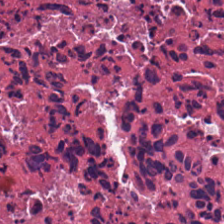Brightfield. H&E-stained tissue section. Q: What is the predominant tissue type?
A: This is necrotic debris.
